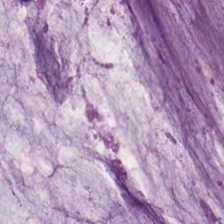H&E stain. Histology — mucus.
